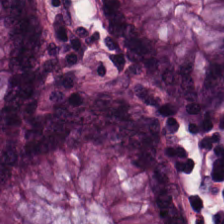H&E stain. Brightfield. Predominantly benign colonic mucosa.
